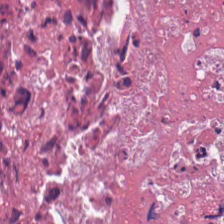Hematoxylin and eosin. Q: Classify this patch.
A: The field shows cellular debris.
